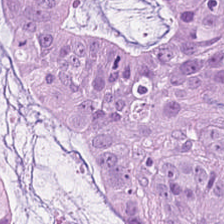Q: What is shown here?
A: Colorectal adenocarcinoma.
